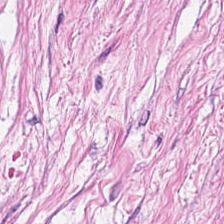FFPE. Hematoxylin and eosin — Q: What type of tissue is this?
A: This is cancer-associated stroma.
